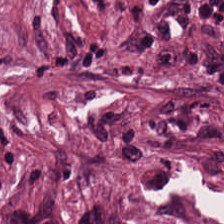Stain: H&E-stained tissue section.
Tissue class: desmoplastic stroma.
